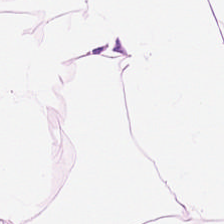Showing adipose.
